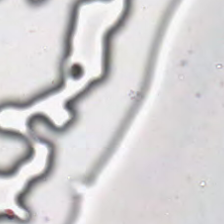Q: Classify this patch.
A: It is background.
